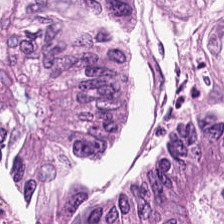224×224 px patch · hematoxylin-and-eosin stained section · 0.5 µm/px. Showing adenocarcinoma.
